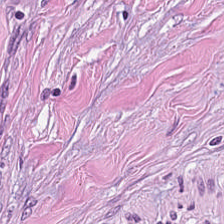Tumor-associated stroma.
